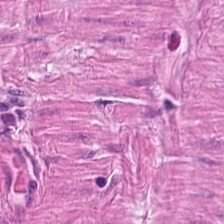Stain: H&E.
Predominant tissue: smooth muscle.
